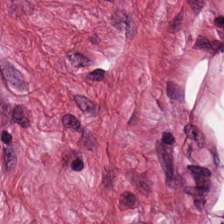224×224 px patch; H&E; FFPE tissue section.
Finding → tumor stroma.
